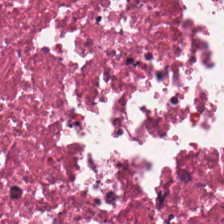Formalin-fixed paraffin-embedded section; H&E stain — Finding — cellular debris.
